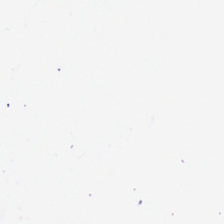This field is background (no tissue).
